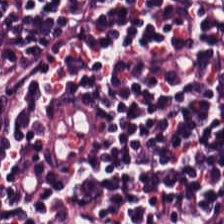Stain: H&E.
Tissue class: lymphocytes.
